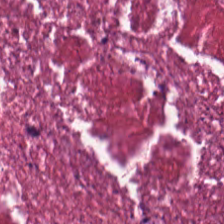H&E-stained tissue section.
Impression — cellular debris.
